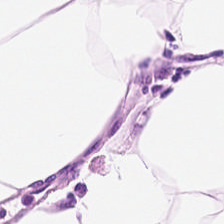H&E stain. This patch shows fat tissue.
